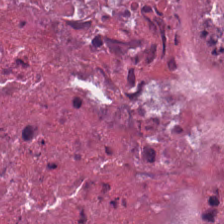Hematoxylin and eosin. 0.5 microns per pixel. 224×224 px patch. Cellular debris.
